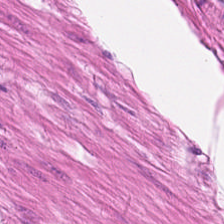Hematoxylin-and-eosin stained section — Finding — smooth muscle.
